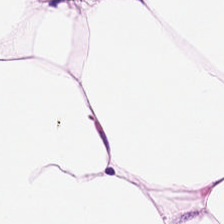Stain: H&E-stained tissue section.
Acquisition: WSI patch.
Tissue type: adipose tissue.
